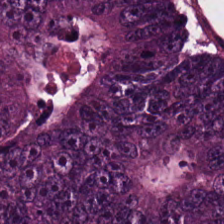H&E-stained tissue section.
Predominant tissue — colorectal adenocarcinoma.
